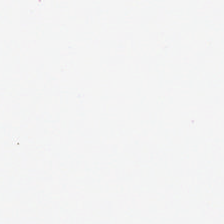224×224 pixel tile; hematoxylin-and-eosin stained section. Impression — empty background.
